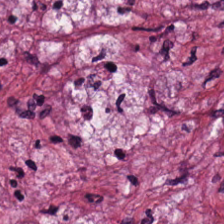Hematoxylin-and-eosin stained section. Tissue class: cancer-associated stroma.
